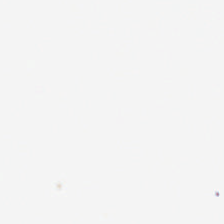Formalin-fixed paraffin-embedded section. Brightfield. Hematoxylin-and-eosin stained section.
Empty field — empty background.
